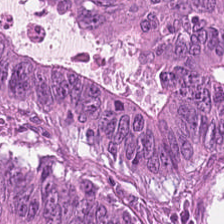Tissue type = malignant epithelium.
